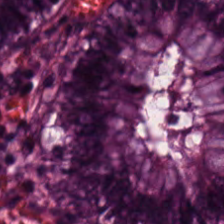The tissue here is benign colonic mucosa.
